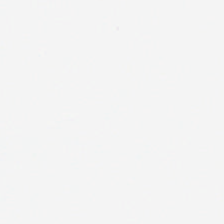20× equivalent magnification. Hematoxylin and eosin. Empty background.
